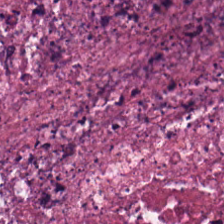Predominantly debris.
